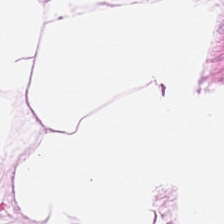FFPE tissue section · H&E — Q: Identify the tissue.
A: It is adipose.
